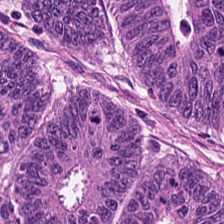H&E-stained tissue section.
Finding — adenocarcinoma.
